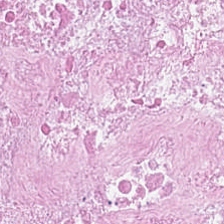WSI patch · hematoxylin and eosin. Finding — debris.
